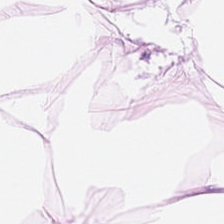Whole-slide-image patch; H&E stain; FFPE.
Q: What is shown here?
A: This is adipose.
